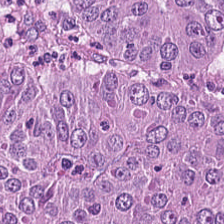H&E stain.
Q: What type of tissue is this?
A: This is tumor epithelium.
